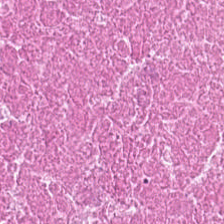Stain: hematoxylin-and-eosin stained section.
Resolution: 0.5 µm per pixel.
Tissue type: necrotic debris.
